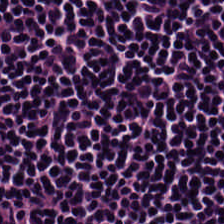Stain: H&E stain.
Tissue type: lymphocyte aggregate.
